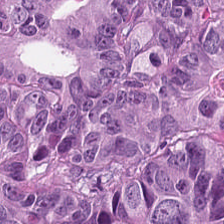Brightfield microscopy; 224×224 px patch; hematoxylin-and-eosin stained section.
The predominant tissue is adenocarcinoma.
